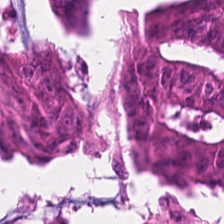H&E; 0.5 µm/px. Finding → tumor epithelium.
